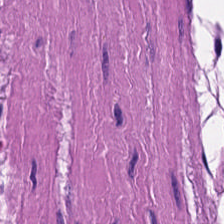0.5 microns per pixel; hematoxylin-and-eosin stained section.
Classification = muscularis.
